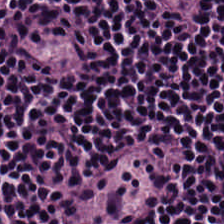Stain: H&E stain.
Predominant tissue: lymphocytic infiltrate.
